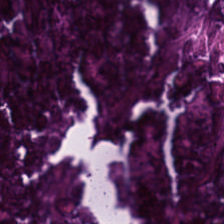Hematoxylin and eosin. This field is debris.
